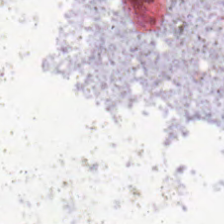H&E stain. Q: What is shown here?
A: The field shows empty background.
